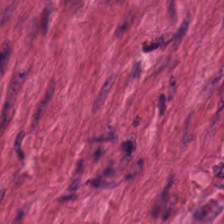H&E — smooth-muscle tissue.
